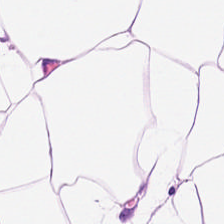Histology → adipocytes.
